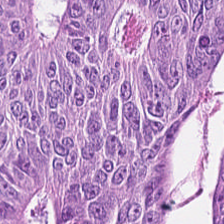Hematoxylin-and-eosin stained section.
Q: What tissue type is shown here?
A: This is colorectal adenocarcinoma epithelium.
